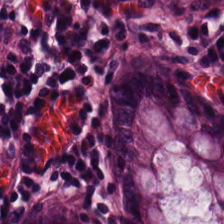Classification — non-neoplastic colon mucosa.
